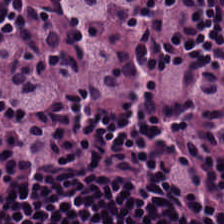H&E-stained tissue section.
The predominant tissue is lymphoid infiltrate.
